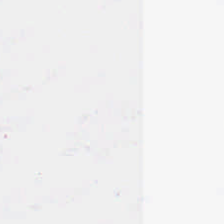H&E — Background — no tissue in this field.
